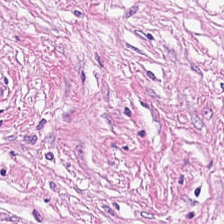Hematoxylin-and-eosin stained section. FFPE — Classification: desmoplastic stroma.
